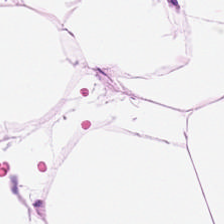Stain: H&E.
Acquisition: brightfield microscopy.
Preparation: FFPE tissue section.
Tissue type: fat tissue.
